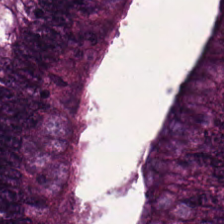H&E stain · brightfield microscopy · 0.5 µm per pixel.
Q: What is shown here?
A: This is colorectal adenocarcinoma.
